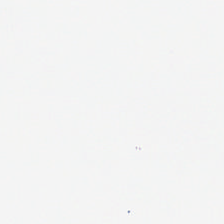20× equivalent magnification · hematoxylin and eosin.
Empty field — no tissue.
